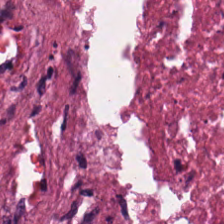Hematoxylin and eosin — Tissue class = necrotic debris.
